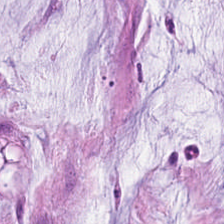Brightfield. H&E-stained tissue section. FFPE. Impression → extracellular mucin.
